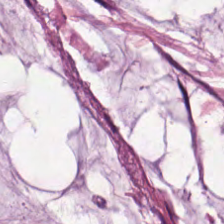Formalin-fixed paraffin-embedded section · 224×224 px tile · hematoxylin and eosin.
This field is mucus.
